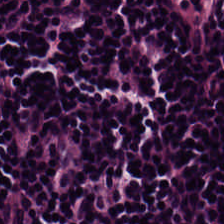This field is lymphoid infiltrate.
